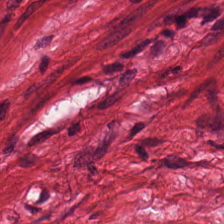H&E. This field is smooth muscle.
